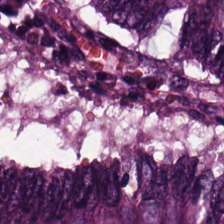H&E stain · formalin-fixed paraffin-embedded section — Q: What does this patch show?
A: The field shows colorectal adenocarcinoma epithelium.
